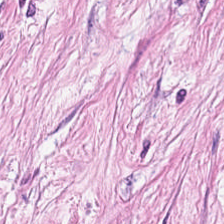Stain: hematoxylin and eosin.
Classification: tumor-associated stroma.
